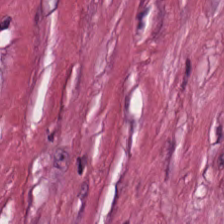Hematoxylin-and-eosin stained section · 224×224 pixel tile — Tissue type = tumor stroma.
